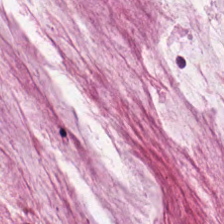Stain: hematoxylin-and-eosin stained section.
Classification: mucus.
